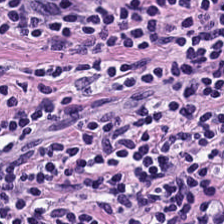Hematoxylin-and-eosin stained section · FFPE tissue section · 224×224 px patch — This field is lymphoid infiltrate.
